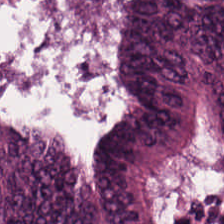Stain: H&E.
Classification: colorectal adenocarcinoma.
